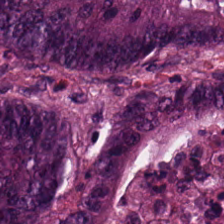Hematoxylin and eosin; FFPE tissue section; whole-slide-image patch.
Showing adenocarcinoma.
